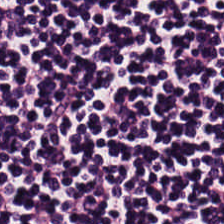Hematoxylin-and-eosin stained section; FFPE; 0.5 microns per pixel.
The tissue here is lymphocytes.
